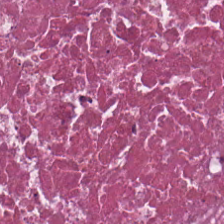H&E · 224×224 pixel tile — Finding — cellular debris.
